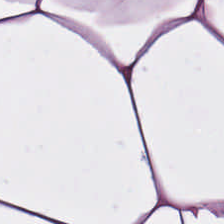WSI patch. H&E — Q: What type of tissue is this?
A: It is fat tissue.
